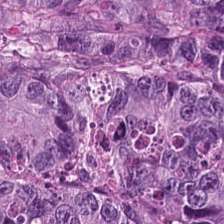20× equivalent magnification; H&E; FFPE tissue section.
Colorectal adenocarcinoma epithelium.
